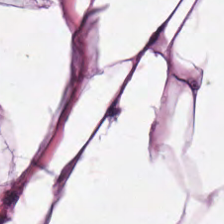H&E.
This field is adipose.
